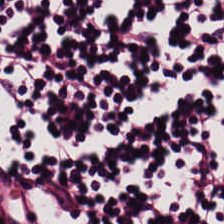Stain: H&E-stained tissue section.
Tissue class: lymphoid infiltrate.
